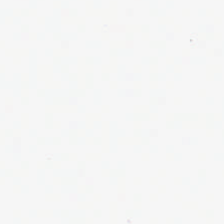H&E stain · WSI patch · 0.5 µm per pixel — Empty background.
